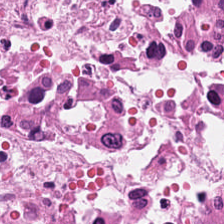224×224 px patch. 20× equivalent magnification. H&E-stained tissue section.
This patch shows cellular debris.
